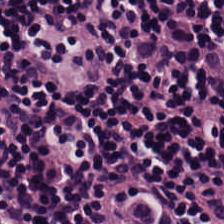Histology — lymphocyte aggregate.
